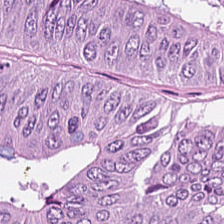{"tissue_type": "colorectal adenocarcinoma"}
